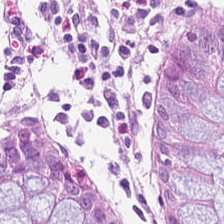H&E-stained tissue section. FFPE — Finding → non-neoplastic colon mucosa.
